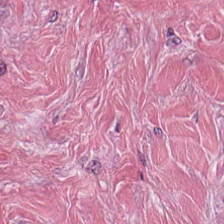H&E — Predominantly tumor stroma.
